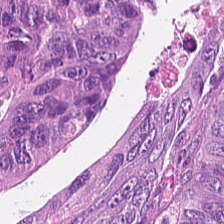The classification is malignant epithelium.
